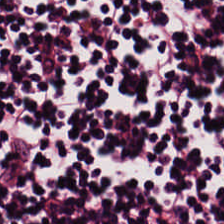Predominantly lymphocyte aggregate.
